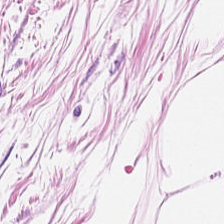224×224 px tile. FFPE tissue section. H&E stain. Q: What tissue type is shown here?
A: It is adipocytes.
